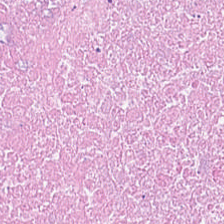H&E-stained tissue section.
Q: What tissue is shown?
A: It is cellular debris.
